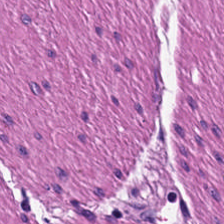Brightfield microscopy. Hematoxylin and eosin.
Tissue class — muscularis.
